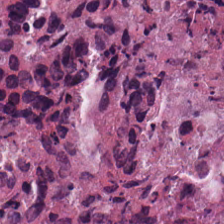H&E stain. The classification is cellular debris.
